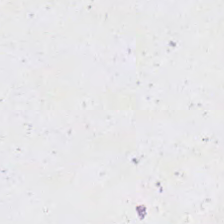The field content is background.
